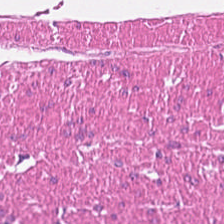H&E stain — The tissue class is smooth muscle.
